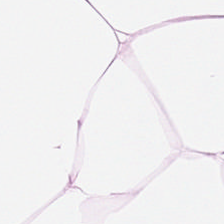Hematoxylin-and-eosin section: adipose tissue.
